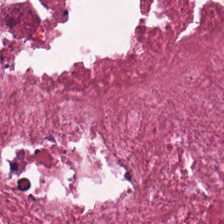Stain: H&E-stained tissue section.
Tissue: cellular debris.
